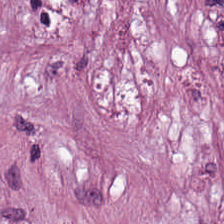H&E-stained tissue section — This patch shows tumor-associated stroma.
